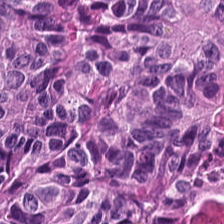224×224 pixel tile · H&E-stained tissue section · FFPE.
Tissue type — malignant epithelium.
